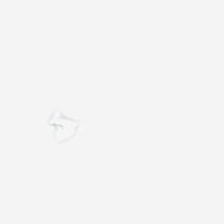Hematoxylin and eosin. Field content: background.
